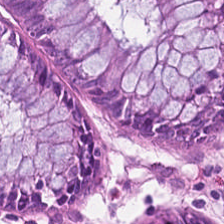Hematoxylin and eosin. FFPE.
This field is normal colon mucosa.
